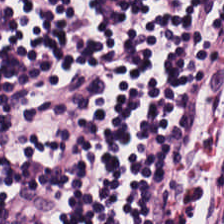Hematoxylin-and-eosin stained section · 224×224 px patch. This field is lymphocytic infiltrate.
